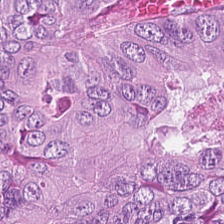H&E patch showing colorectal adenocarcinoma epithelium.
